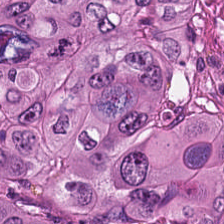Stain: H&E.
Classification: adenocarcinoma.
